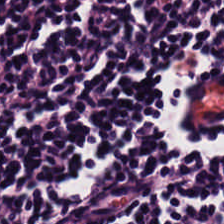Formalin-fixed paraffin-embedded section; H&E.
Q: What is shown here?
A: Lymphocytes.
